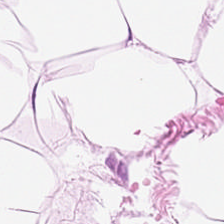Impression → fat tissue.
